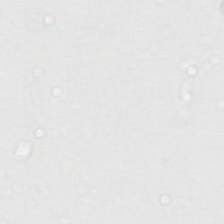Stain: H&E-stained tissue section.
Classification: background (no tissue).
